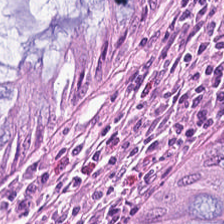H&E-stained tissue section. WSI patch.
Predominantly benign colonic mucosa.
